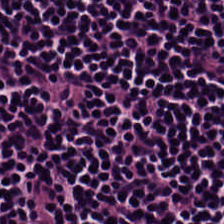H&E-stained tissue section.
Tissue type — lymphocytic infiltrate.
